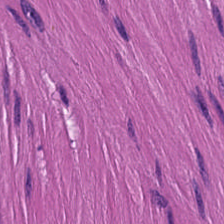H&E stain. 0.5 microns per pixel. The tissue here is smooth muscle.
